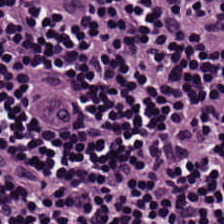Hematoxylin and eosin. 0.5 µm/px. 224×224 px tile.
Classification — lymphoid infiltrate.
